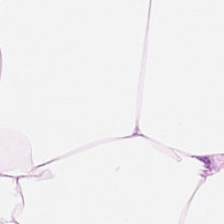Predominantly adipose.
